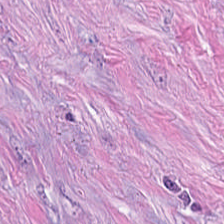H&E stain — This patch shows tumor stroma.
